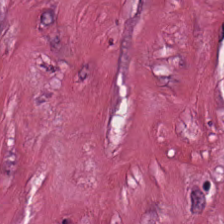The tissue here is cancer-associated stroma.
